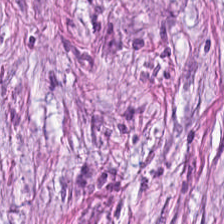224×224 pixel tile · H&E stain · WSI patch. Q: What tissue type is shown here?
A: The field shows tumor-associated stroma.
